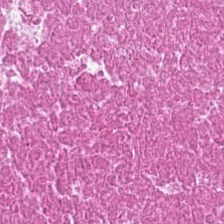Hematoxylin and eosin — {"tissue_type": "cellular debris"}
